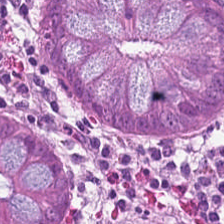Stain: H&E-stained tissue section.
Resolution: 0.5 microns per pixel.
Tissue type: normal colonic mucosa.
